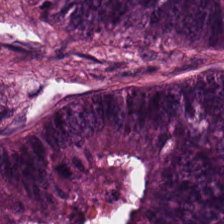Hematoxylin-and-eosin stained section. This field is tumor epithelium.
